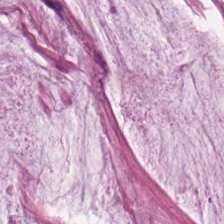Hematoxylin-and-eosin stained section. Whole-slide-image patch — Histology — mucus.
